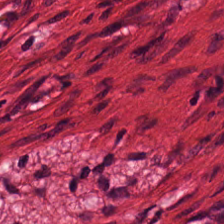H&E-stained tissue section. 224×224 px patch.
{"tissue_type": "muscularis"}
